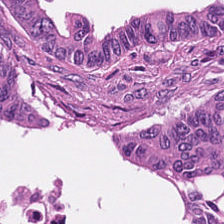Stain: H&E.
Acquisition: brightfield.
Tissue: tumor epithelium.
